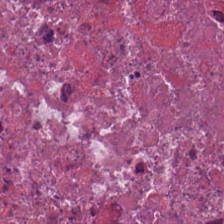H&E. Q: What tissue is shown?
A: The field shows necrotic debris.
